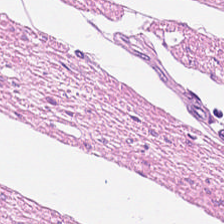H&E-stained tissue section. 224×224 px tile. Brightfield — This patch shows muscularis.
